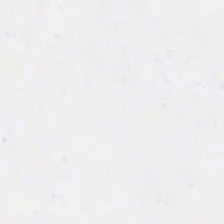Hematoxylin-and-eosin stained section.
Classification: empty background.
